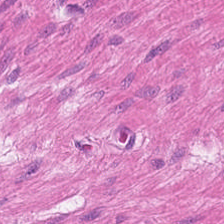H&E · FFPE — Q: What is shown in this field?
A: Smooth muscle.
